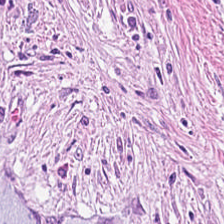H&E stain. 0.5 µm/px. FFPE.
Predominantly tumor stroma.
